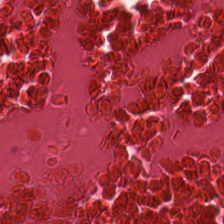Stain: hematoxylin and eosin.
Classification: necrotic debris.
